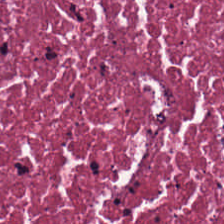Hematoxylin-and-eosin stained section; FFPE tissue section.
The tissue here is cellular debris.
